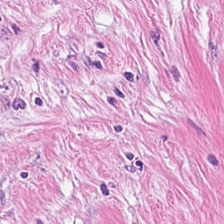The tissue class is desmoplastic stroma.
